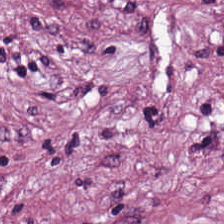FFPE · H&E · brightfield microscopy — The tissue here is tumor stroma.
